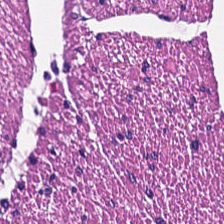This field is muscularis.
